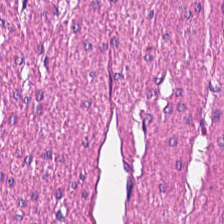Impression → smooth-muscle tissue.
